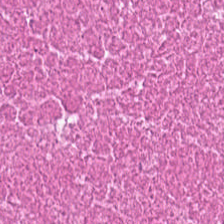H&E stain — Impression → cellular debris.
